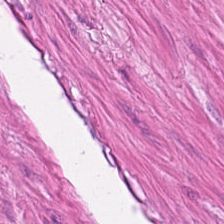H&E-stained tissue section.
Predominantly smooth muscle.
